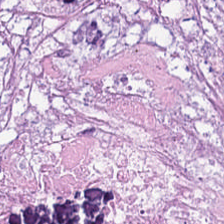H&E stain — The tissue is necrotic debris.
